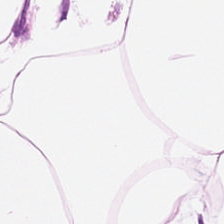H&E stain · FFPE · 0.5 microns per pixel. This field is fat tissue.
